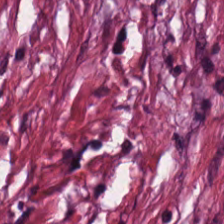20× equivalent magnification · FFPE · H&E-stained tissue section.
{"tissue_type": "desmoplastic stroma"}
